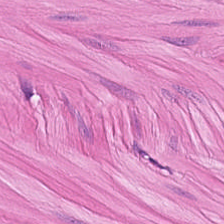H&E · brightfield. Tissue: muscularis.
